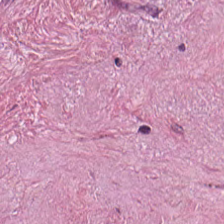H&E.
Predominantly cancer-associated stroma.
